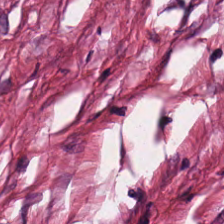H&E; brightfield microscopy. Impression → tumor-associated stroma.
